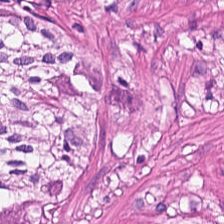Stain: H&E-stained tissue section.
Classification: smooth-muscle tissue.
